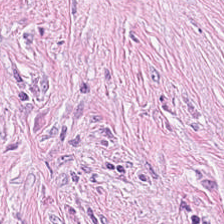Q: What tissue type is shown here?
A: Tumor stroma.
